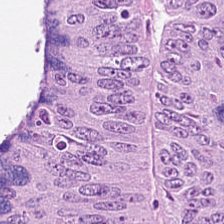Hematoxylin-and-eosin stained section.
The tissue here is colorectal adenocarcinoma epithelium.
